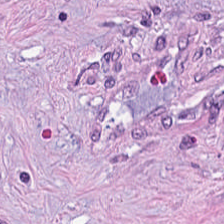H&E stain. The predominant tissue is tumor stroma.
